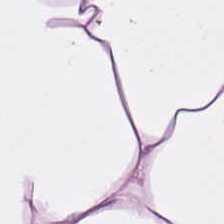Hematoxylin-and-eosin stained section.
Tissue type: adipose tissue.
